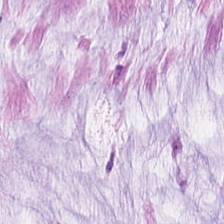Hematoxylin-and-eosin stained section · FFPE — Histology — extracellular mucin.
